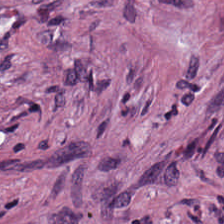Brightfield microscopy. H&E-stained tissue section.
Predominant tissue — desmoplastic stroma.
